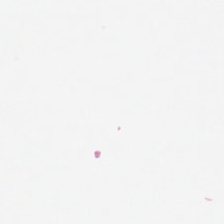This patch shows background (no tissue).
